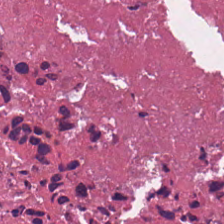Whole-slide-image patch · 0.5 µm/px · hematoxylin and eosin. Showing cellular debris.
